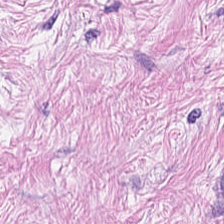H&E stain; brightfield. The predominant tissue is desmoplastic stroma.
